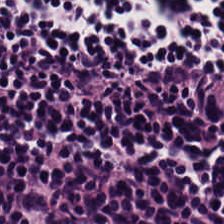H&E stain.
Tissue class: lymphocyte aggregate.
